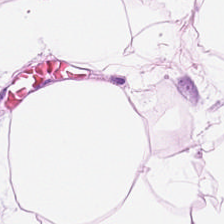224×224 pixel tile; H&E stain.
Q: What is shown here?
A: This is adipose.
